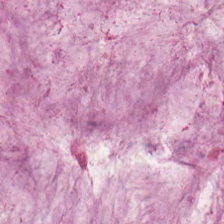Tissue class: mucus.
